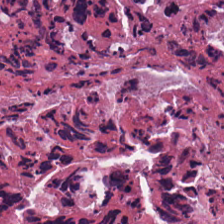H&E-stained tissue section; 224×224 pixel tile; formalin-fixed paraffin-embedded section. Showing debris.
